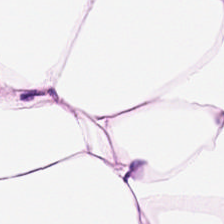H&E-stained tissue section showing adipose.
